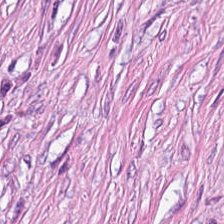H&E-stained tissue section.
Histology → desmoplastic stroma.
